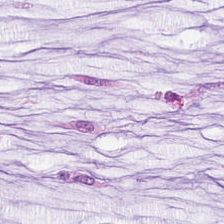Hematoxylin and eosin — Impression — extracellular mucin.
